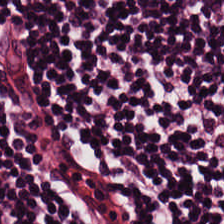Hematoxylin and eosin.
This field is lymphoid infiltrate.
